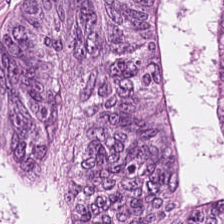Hematoxylin-and-eosin stained section — Colorectal adenocarcinoma epithelium.
